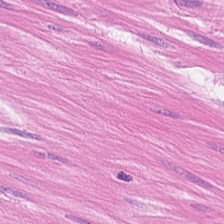0.5 µm per pixel. H&E. 224×224 pixel tile. Predominantly smooth-muscle tissue.
